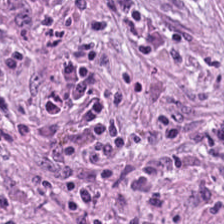H&E — Q: What type of tissue is this?
A: The field shows cancer-associated stroma.
